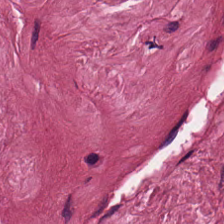H&E stain. Tissue = desmoplastic stroma.
